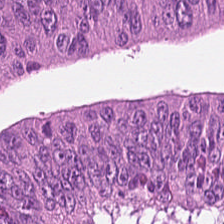0.5 µm/px; 224×224 px patch; H&E-stained tissue section — Finding → tumor epithelium.
